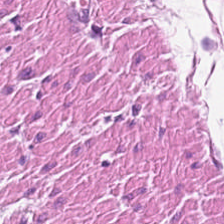Stain: hematoxylin-and-eosin stained section.
Resolution: 0.5 microns per pixel.
Acquisition: brightfield.
Tissue: smooth-muscle tissue.
